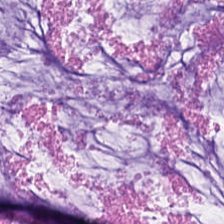Hematoxylin-and-eosin stained section — The tissue here is mucin.
